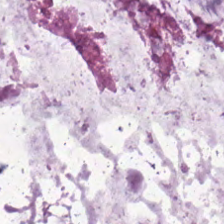H&E — mucin.
